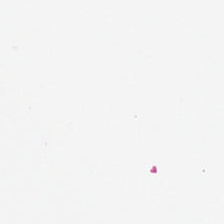H&E. Finding — background (no tissue).
